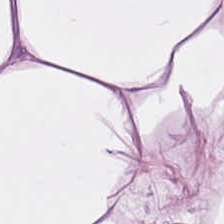Hematoxylin and eosin. Tissue type = adipocytes.
